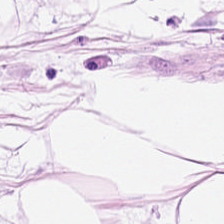Stain: H&E stain.
Tile size: 224×224 px patch.
Predominant tissue: fat tissue.
